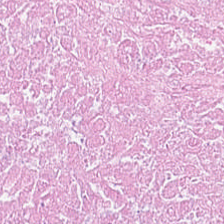Hematoxylin-and-eosin stained section. 0.5 µm/px. Brightfield.
This field is cellular debris.
